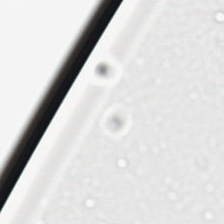H&E stain; 224×224 px tile. Finding — background.
